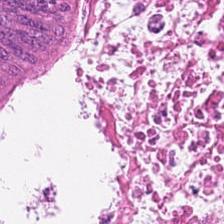H&E stain — Tumor epithelium.
